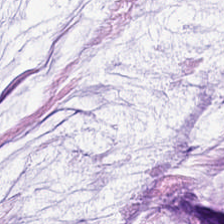Stain: H&E.
Tissue type: mucin.
